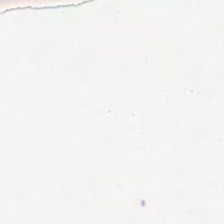H&E; WSI patch.
No tissue present; background only.
